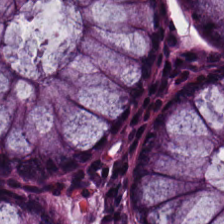H&E-stained tissue section. Q: What tissue type is shown here?
A: The field shows normal colonic mucosa.
